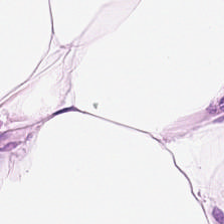Stain: H&E.
Preparation: formalin-fixed paraffin-embedded section.
Tile size: 224×224 pixel tile.
Classification: adipose tissue.
